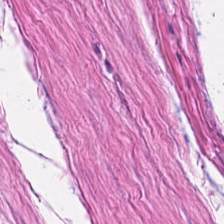H&E. Histology → muscularis.
